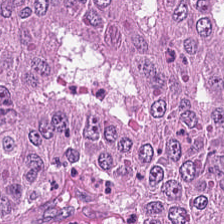Formalin-fixed paraffin-embedded section · brightfield · H&E-stained tissue section. Colorectal adenocarcinoma epithelium.
